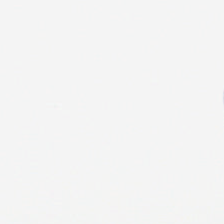Formalin-fixed paraffin-embedded section; hematoxylin and eosin. Impression → background (no tissue).
